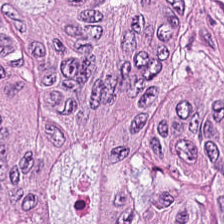Stain: hematoxylin-and-eosin stained section.
Predominant tissue: adenocarcinoma.
